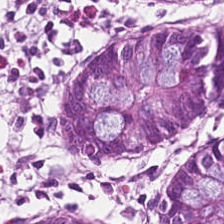H&E. 0.5 µm per pixel. FFPE tissue section. Impression — non-neoplastic colon mucosa.
